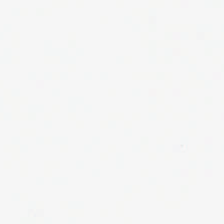Stain: hematoxylin and eosin.
Content: background.
